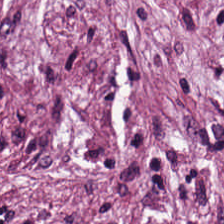H&E stain — Impression → cancer-associated stroma.
